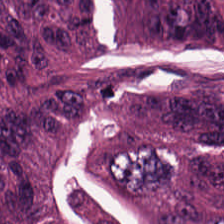H&E-stained tissue section; formalin-fixed paraffin-embedded section — Tumor epithelium.
